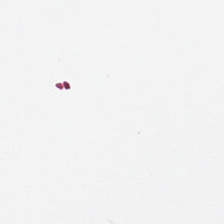224×224 px tile · H&E stain — {"content": "background (no tissue)"}
